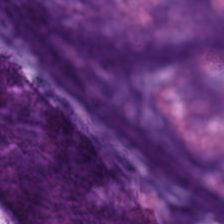Q: What does this patch show?
A: Mucin.
